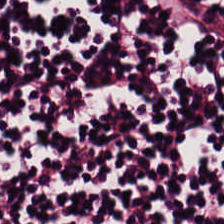224×224 px tile; H&E stain. {"tissue_type": "lymphoid infiltrate"}
